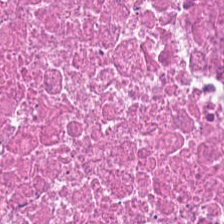H&E.
This patch shows necrotic debris.
